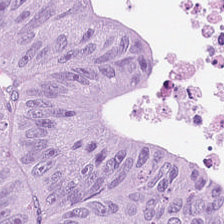Histology — adenocarcinoma.
